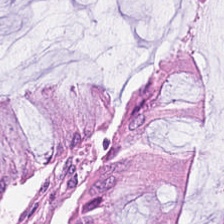0.5 µm/px · H&E · FFPE tissue section.
The tissue here is normal colonic mucosa.
